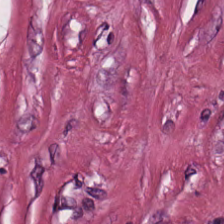H&E stain. FFPE tissue section. Q: What tissue type is shown here?
A: The field shows tumor-associated stroma.
